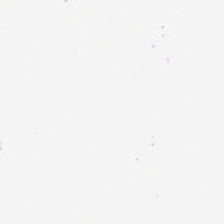Hematoxylin and eosin · brightfield · 224×224 px patch.
This field is background (no tissue).
